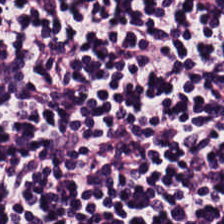224×224 px tile; H&E — Histology → lymphoid infiltrate.
